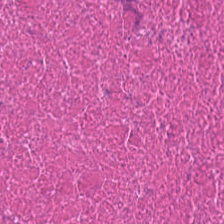H&E-stained tissue section showing cellular debris.
